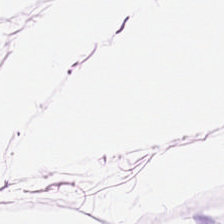224×224 pixel tile · H&E stain — Q: Identify the tissue.
A: It is adipose tissue.
